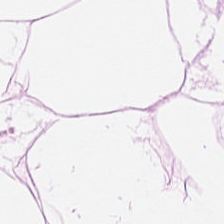Classification = adipocytes.
